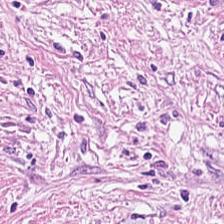Predominant tissue — tumor-associated stroma.
